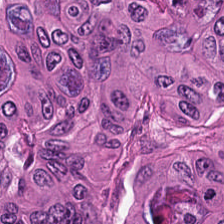The tissue here is malignant epithelium.
